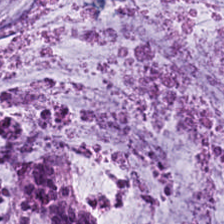Classification — mucus.
